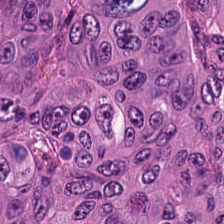H&E stain. Showing malignant epithelium.
